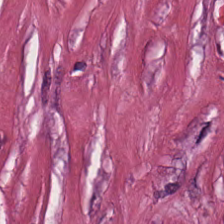Formalin-fixed paraffin-embedded section · H&E-stained tissue section · 20× equivalent magnification.
The tissue here is desmoplastic stroma.
